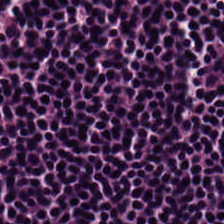Hematoxylin and eosin.
Lymphoid infiltrate.
